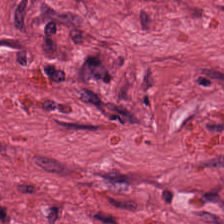H&E-stained tissue section.
Showing tumor-associated stroma.
